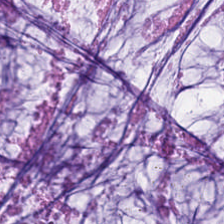H&E stain · 20× equivalent magnification · FFPE. {"tissue_type": "extracellular mucin"}
